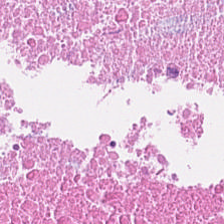Histology — cellular debris.
